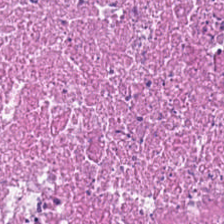{"tissue_type": "necrotic debris"}
